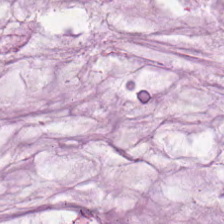H&E.
Tissue = mucin.
